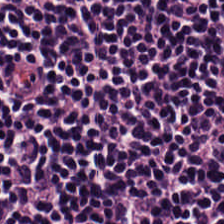H&E. The tissue is lymphocytes.
